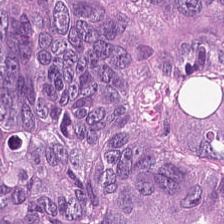Tumor epithelium.
